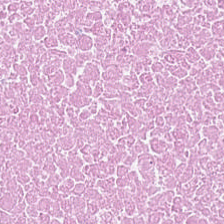0.5 µm/px · hematoxylin and eosin. Q: What is shown here?
A: It is cellular debris.
